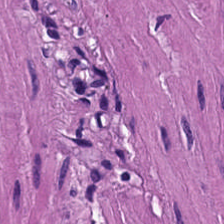Brightfield microscopy · H&E · 224×224 px tile. Q: What type of tissue is this?
A: Muscularis.
